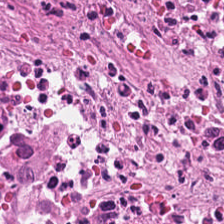{"tissue_type": "cellular debris"}
